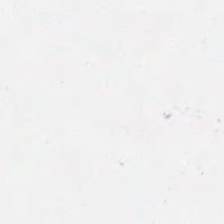Hematoxylin and eosin. 224×224 px tile. Q: Classify this patch.
A: Background.
